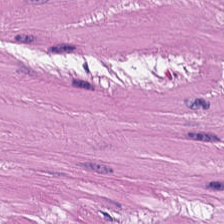H&E-stained tissue section; 20× equivalent magnification — {"tissue_type": "muscularis"}
